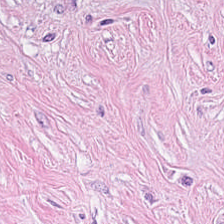H&E — Q: Identify the tissue.
A: The field shows tumor-associated stroma.
